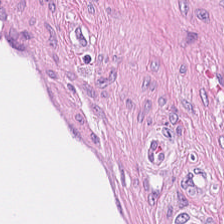Hematoxylin and eosin; 224×224 px patch.
The tissue here is desmoplastic stroma.
